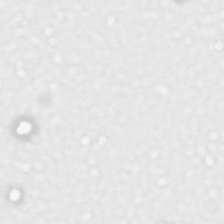Empty field — no tissue.
